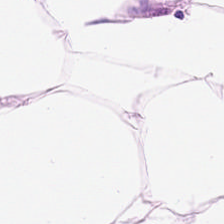H&E-stained tissue section. FFPE tissue section. 0.5 µm per pixel. Histology — adipose.
